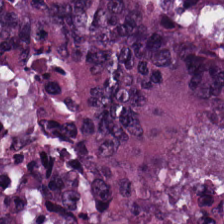Formalin-fixed paraffin-embedded section; hematoxylin-and-eosin stained section — Classification: colorectal adenocarcinoma epithelium.
